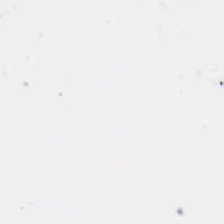0.5 µm/px · hematoxylin-and-eosin stained section. Q: What is shown in this field?
A: This is background (no tissue).
